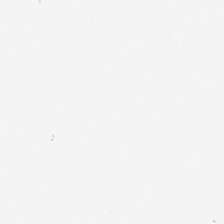Hematoxylin-and-eosin stained section; FFPE; whole-slide-image patch — {"content": "no tissue"}
